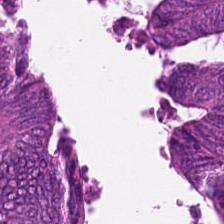Colorectal adenocarcinoma epithelium.
